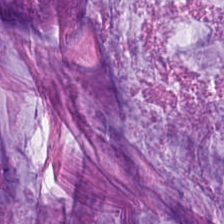0.5 µm/px · hematoxylin and eosin · formalin-fixed paraffin-embedded section. This patch shows mucin.
